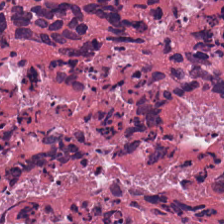Classification — debris.
